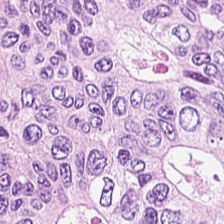Hematoxylin-and-eosin stained section. The tissue class is adenocarcinoma.
